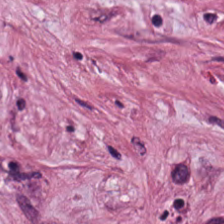Q: What is the predominant tissue type?
A: It is tumor-associated stroma.
